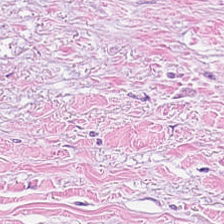0.5 µm per pixel; 224×224 px tile; H&E stain.
Histology → desmoplastic stroma.
